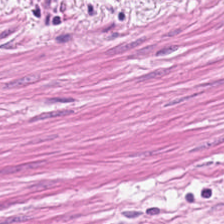Hematoxylin-and-eosin stained section — The tissue type is muscularis.
